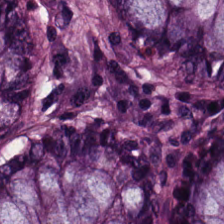Tissue = benign colonic mucosa.
